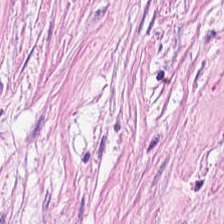Q: What type of tissue is this?
A: The field shows desmoplastic stroma.
